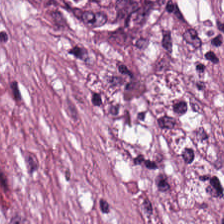H&E stain. FFPE.
Tissue type — tumor stroma.
